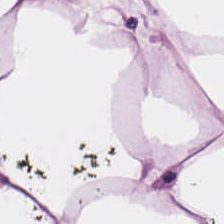0.5 µm per pixel; brightfield microscopy; H&E stain — Showing adipose.
